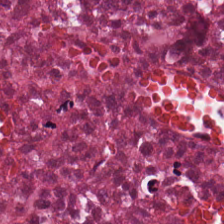H&E stain. Showing cellular debris.
